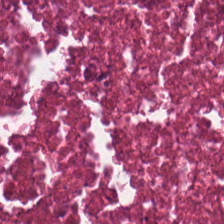Hematoxylin-and-eosin stained section. Impression — debris.
